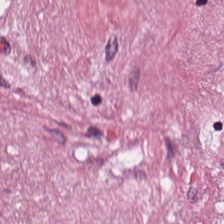Finding — tumor stroma.
